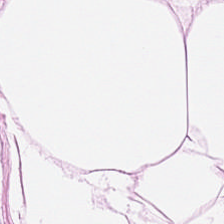H&E-stained tissue section. Brightfield microscopy. This patch shows adipose.
